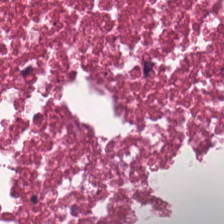Formalin-fixed paraffin-embedded section; hematoxylin-and-eosin stained section.
Tissue: necrotic debris.
